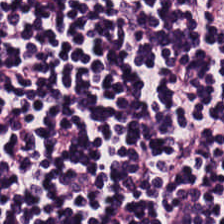224×224 px tile; H&E; FFPE tissue section — Q: What type of tissue is this?
A: The field shows lymphocytes.
